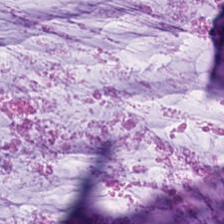Stain: hematoxylin-and-eosin stained section.
Predominant tissue: mucin.
